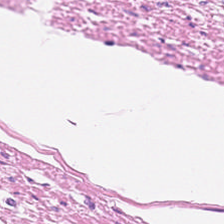Hematoxylin-and-eosin stained section · 20× equivalent magnification.
Predominantly muscularis.
